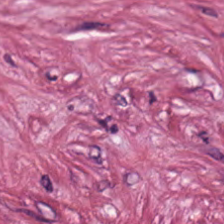H&E stain · brightfield.
Q: What type of tissue is this?
A: It is tumor-associated stroma.
